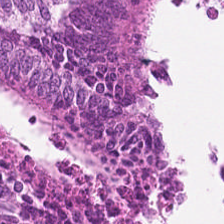20× equivalent magnification. Hematoxylin-and-eosin stained section — Q: What is the predominant tissue type?
A: Colorectal adenocarcinoma.
